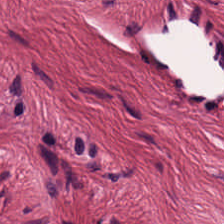H&E.
Q: Identify the tissue.
A: This is tumor-associated stroma.
